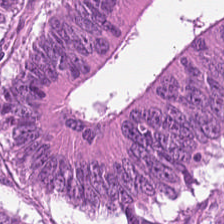Hematoxylin-and-eosin stained section.
Q: What tissue is shown?
A: It is colorectal adenocarcinoma.
